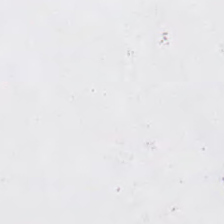0.5 µm/px. H&E-stained tissue section — Background (no tissue).
